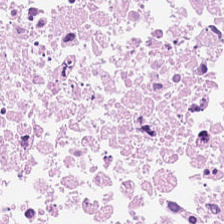H&E. The predominant tissue is debris.
